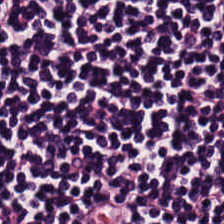WSI patch. H&E — Classification = lymphoid infiltrate.
